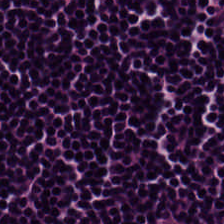Brightfield; H&E-stained tissue section.
This patch shows lymphocytic infiltrate.
